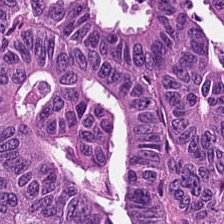Hematoxylin and eosin · brightfield microscopy.
The classification is colorectal adenocarcinoma epithelium.
